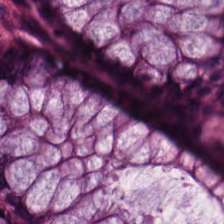H&E; 224×224 px patch — Predominant tissue = non-neoplastic colon mucosa.
